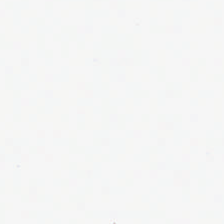This field is background (no tissue).
